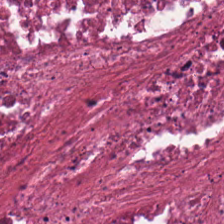{"tissue_type": "necrotic debris"}
